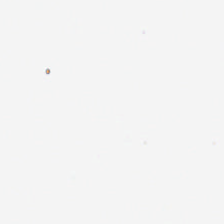Impression → empty background.
